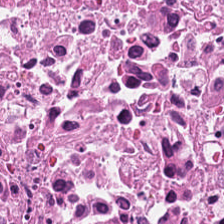H&E. Tissue — necrotic debris.
